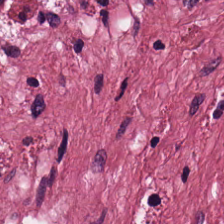H&E-stained tissue section.
The predominant tissue is cancer-associated stroma.
